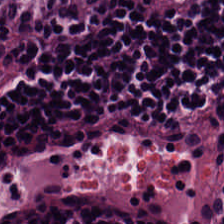Stain: H&E stain.
Tissue class: lymphocyte aggregate.
